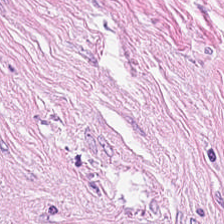20× equivalent magnification; H&E-stained tissue section; 224×224 px patch — Impression — tumor stroma.
